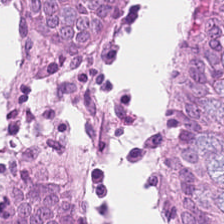H&E stain.
Q: What is shown in this field?
A: This is normal colon mucosa.
